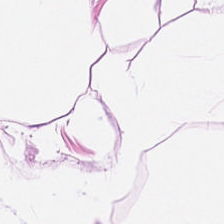224×224 px tile; hematoxylin-and-eosin stained section. The tissue is adipocytes.
